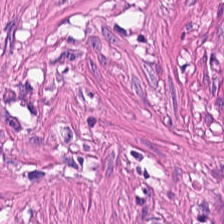Hematoxylin and eosin · WSI patch — The predominant tissue is smooth muscle.
